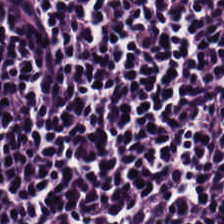Tissue type: lymphocytes.
